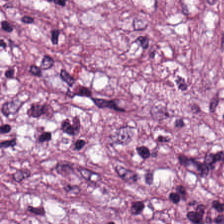Hematoxylin-and-eosin stained section. This patch shows tumor stroma.
